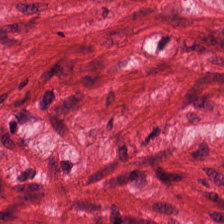The tissue is smooth-muscle tissue.
